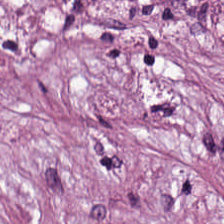H&E stain. 224×224 pixel tile. Formalin-fixed paraffin-embedded section.
Tumor-associated stroma.
